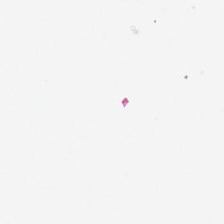Brightfield · 0.5 µm per pixel · H&E stain — Histology → background (no tissue).
